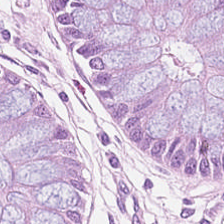Hematoxylin-and-eosin stained section.
Tissue = benign colonic mucosa.
